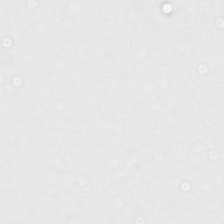{"content": "background (no tissue)"}
